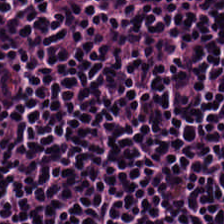FFPE; hematoxylin-and-eosin stained section.
The predominant tissue is lymphoid infiltrate.
